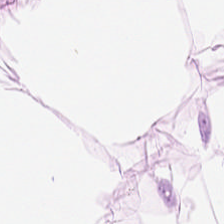H&E-stained tissue section — Tissue type — adipocytes.
